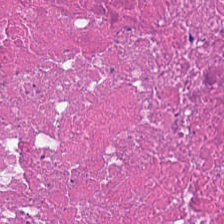Hematoxylin-and-eosin stained section.
This field is necrotic debris.
